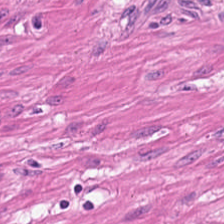H&E · FFPE tissue section. Tissue class: muscularis.
